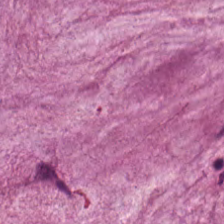Hematoxylin and eosin. Brightfield.
Q: What does this patch show?
A: The field shows mucin.
